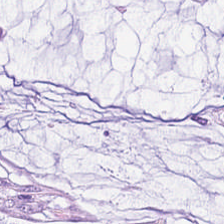H&E-stained section; the field shows mucin.
